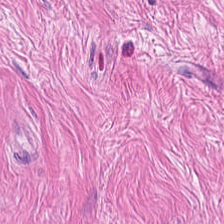Whole-slide-image patch · H&E stain. The predominant tissue is smooth-muscle tissue.
